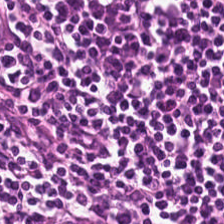Hematoxylin and eosin · FFPE · 0.5 µm per pixel.
Tissue type — lymphocytic infiltrate.
